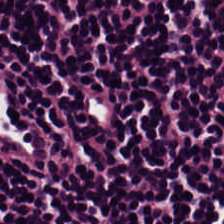224×224 px patch; 0.5 microns per pixel; H&E stain. Predominant tissue = lymphoid infiltrate.
